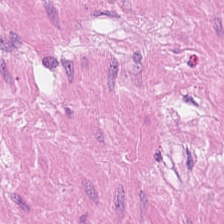H&E. This patch shows smooth muscle.
